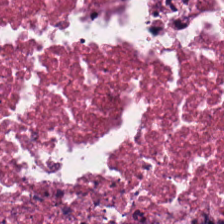Stain: hematoxylin-and-eosin stained section.
Predominant tissue: necrotic debris.
